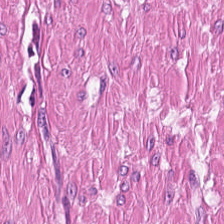Classification: smooth muscle.
